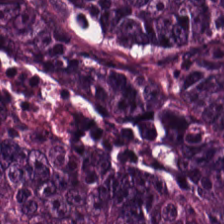H&E.
Q: What tissue type is shown here?
A: Colorectal adenocarcinoma epithelium.
